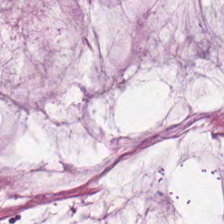The tissue here is extracellular mucin.
